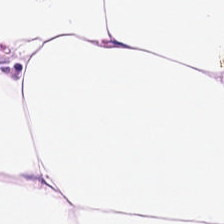Hematoxylin and eosin — This patch shows fat tissue.
